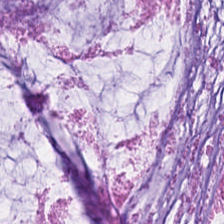H&E-stained tissue section · FFPE. {"tissue_type": "extracellular mucin"}
